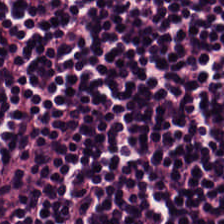Hematoxylin-and-eosin stained section — Q: What tissue is shown?
A: The field shows lymphocytes.
